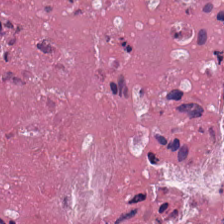Tissue type: necrotic debris.
